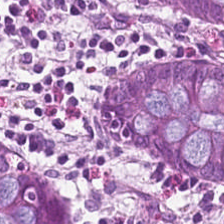Impression — normal colonic mucosa.
